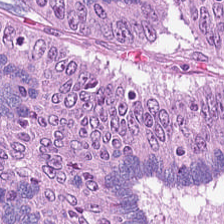H&E-stained tissue section — {"tissue_type": "colorectal adenocarcinoma epithelium"}
